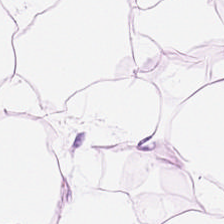FFPE; H&E.
The tissue type is adipose.
